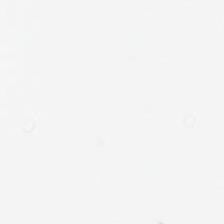224×224 px patch · brightfield · hematoxylin-and-eosin stained section — Q: What is shown here?
A: The field shows background.
